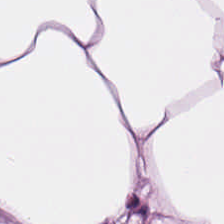Showing adipose.
